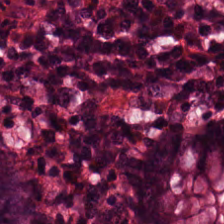20× equivalent magnification; hematoxylin-and-eosin stained section — Histology → benign colonic mucosa.
